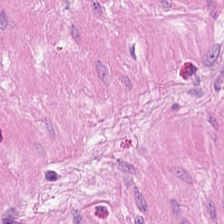H&E stain. Predominantly muscularis.
